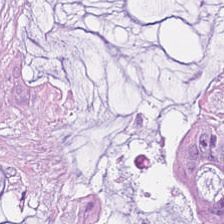H&E.
Predominant tissue: mucus.
